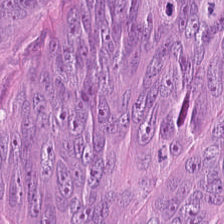Hematoxylin and eosin — The predominant tissue is colorectal adenocarcinoma epithelium.
